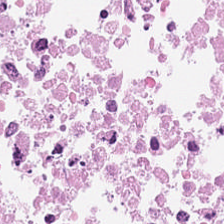Hematoxylin-and-eosin stained section; 224×224 px patch — The tissue here is cellular debris.
